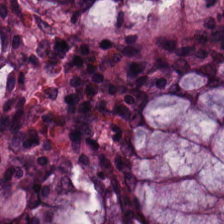Hematoxylin and eosin.
Showing benign colonic mucosa.
